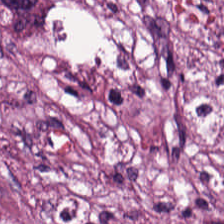0.5 µm/px. Hematoxylin and eosin. Tissue class = tumor-associated stroma.
